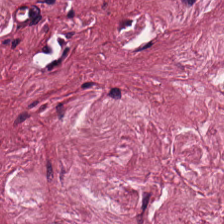Stain: hematoxylin and eosin.
Predominant tissue: desmoplastic stroma.
